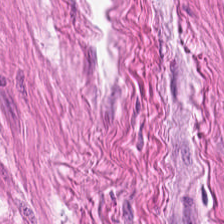H&E stain; 224×224 px patch. Q: What type of tissue is this?
A: It is smooth-muscle tissue.
